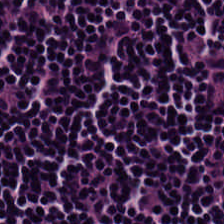Q: What type of tissue is this?
A: Lymphocytic infiltrate.
